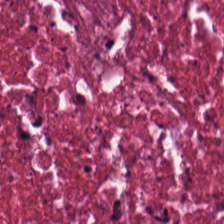Predominantly cellular debris.
